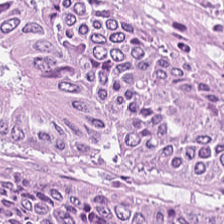Hematoxylin-and-eosin stained section · 0.5 microns per pixel. Tissue type — adenocarcinoma.
